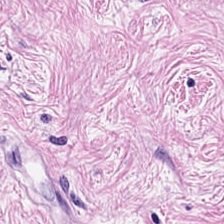Hematoxylin and eosin. Q: What type of tissue is this?
A: The field shows cancer-associated stroma.
